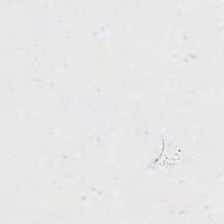Background — no tissue in this field.
